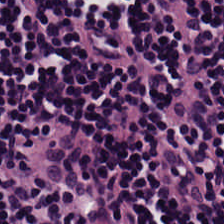H&E-stained tissue section · 0.5 microns per pixel. Q: What tissue type is shown here?
A: Lymphoid infiltrate.
